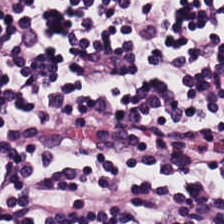Hematoxylin-and-eosin stained section — Lymphocytes.
